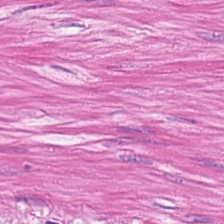Q: What does this patch show?
A: This is smooth muscle.
